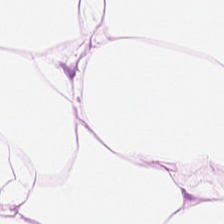224×224 pixel tile; 0.5 microns per pixel; hematoxylin and eosin.
This patch shows adipose tissue.
